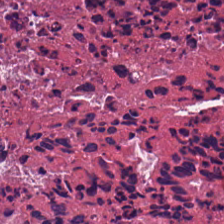WSI patch. Hematoxylin and eosin.
Histology → debris.
